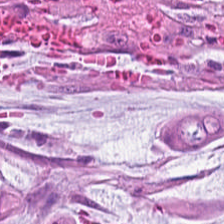Hematoxylin-and-eosin section: extracellular mucin.
